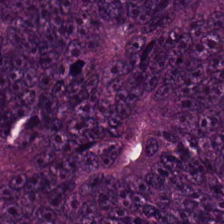H&E stain; WSI patch — Predominantly colorectal adenocarcinoma.
